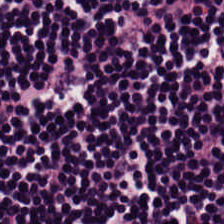H&E stain — {"tissue_type": "lymphocytes"}
